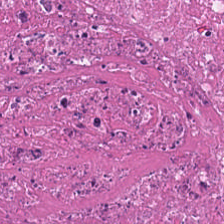H&E — Showing necrotic debris.
